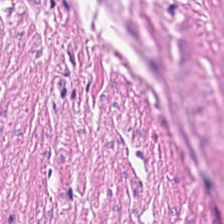H&E-stained tissue section.
This field is muscularis.
